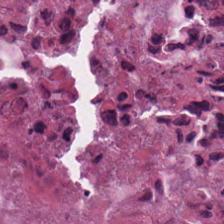H&E-stained tissue section. WSI patch. 20× equivalent magnification.
Tissue type — necrotic debris.
